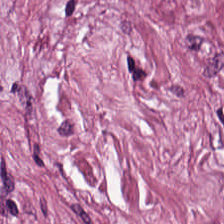0.5 µm/px. Hematoxylin-and-eosin stained section — Finding → tumor-associated stroma.
